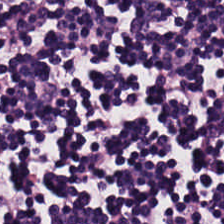H&E-stained tissue section. Predominantly lymphocytes.
